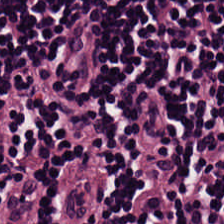FFPE · H&E-stained tissue section.
Impression → lymphocyte aggregate.
